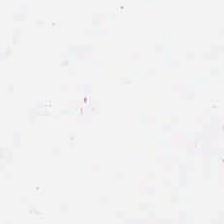20× equivalent magnification; H&E; FFPE tissue section.
Histology — background (no tissue).
